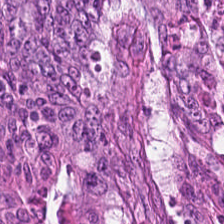Stain: hematoxylin-and-eosin stained section.
Tissue: malignant epithelium.
